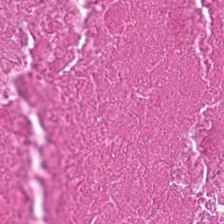H&E. 0.5 µm per pixel. Q: What type of tissue is this?
A: It is necrotic debris.
